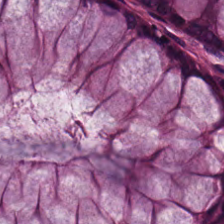This field is normal colon mucosa.
